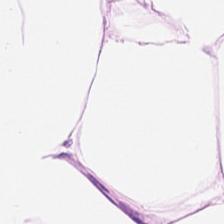0.5 µm per pixel; hematoxylin-and-eosin stained section. Adipocytes.
